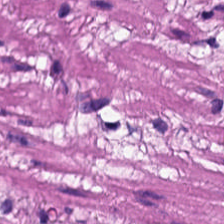H&E stain.
Finding — smooth-muscle tissue.
